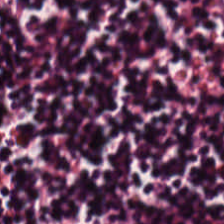0.5 microns per pixel. H&E-stained tissue section. FFPE — This patch shows lymphocyte aggregate.
